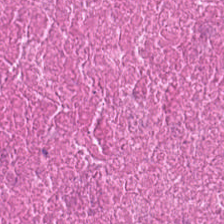H&E stain. {"tissue_type": "necrotic debris"}
